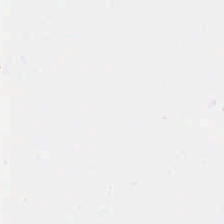No tissue.
